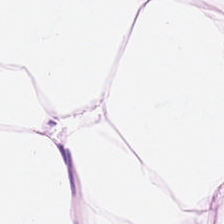H&E-stained tissue section.
Tissue type: fat tissue.
